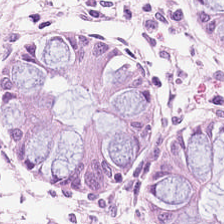Formalin-fixed paraffin-embedded section. Hematoxylin and eosin. 224×224 pixel tile. This field is normal colon mucosa.
